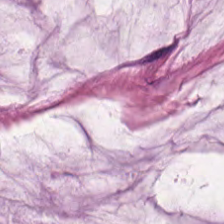Q: Identify the tissue.
A: The field shows extracellular mucin.
